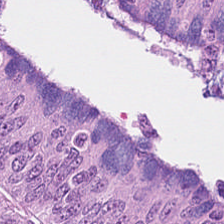The tissue type is colorectal adenocarcinoma.
